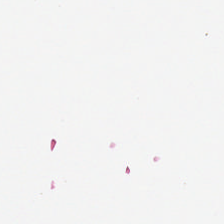No tissue.
